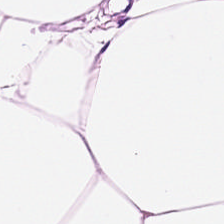H&E-stained tissue section. 20× equivalent magnification.
Histology → fat tissue.
